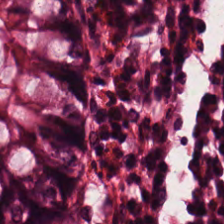H&E stain; 224×224 px patch — This field is non-neoplastic colon mucosa.
